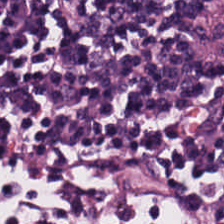H&E stain. Tissue type — lymphoid infiltrate.
